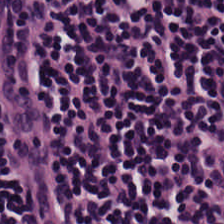Hematoxylin and eosin. Tissue type = lymphocytes.
